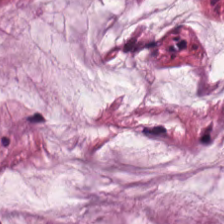224×224 px patch. 0.5 µm per pixel. Hematoxylin and eosin.
Showing mucin.
